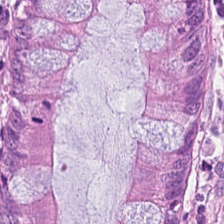Stain: H&E.
Preparation: FFPE tissue section.
Tissue class: normal colonic mucosa.
